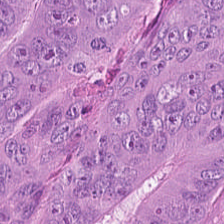Brightfield · 224×224 px patch · hematoxylin-and-eosin stained section. This patch shows adenocarcinoma.
